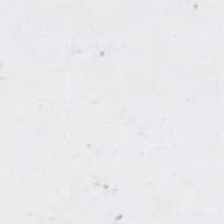0.5 microns per pixel · hematoxylin and eosin.
Histology → background.
